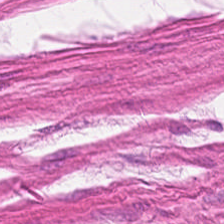H&E stain.
The tissue is smooth muscle.
